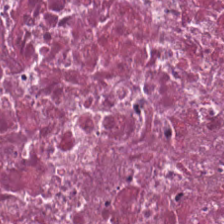Hematoxylin and eosin — The predominant tissue is necrotic debris.
